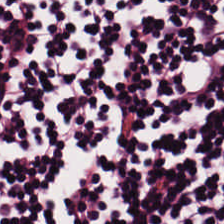Stain: H&E-stained tissue section.
Tile size: 224×224 px tile.
Preparation: FFPE tissue section.
Tissue: lymphoid infiltrate.
